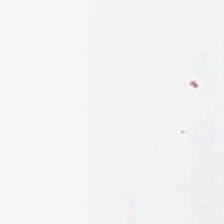H&E stain — This field is background (no tissue).
